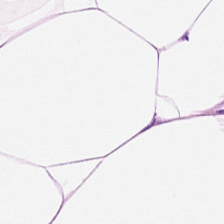H&E stain — This field is adipose.
